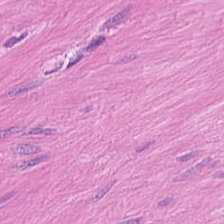224×224 pixel tile; 0.5 µm/px; H&E stain. Tissue type — muscularis.
